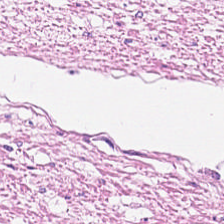Q: What does this patch show?
A: This is muscularis.
